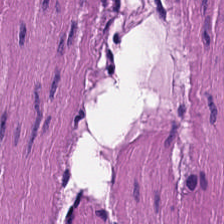FFPE tissue section · hematoxylin and eosin · 0.5 µm/px.
Tissue class = muscularis.
